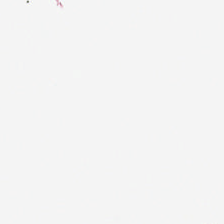H&E stain. 224×224 px patch. Background (no tissue).
